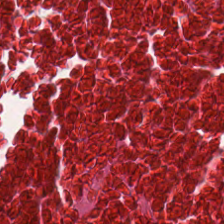Cellular debris.
